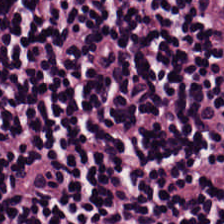The predominant tissue is lymphocyte aggregate.
